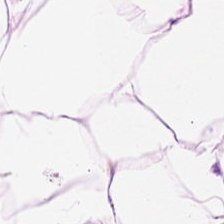FFPE · H&E-stained tissue section. Q: What is shown in this field?
A: Adipose.
